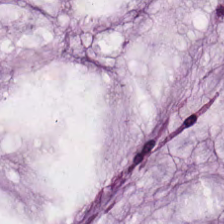Hematoxylin-and-eosin stained section. WSI patch — Showing mucus.
